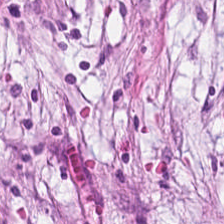Showing desmoplastic stroma.
